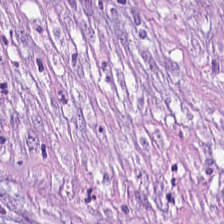224×224 pixel tile. H&E stain. WSI patch — Histology — tumor-associated stroma.
